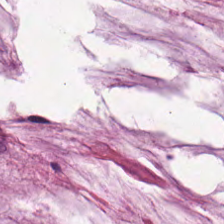H&E-stained tissue section.
Finding → mucin.
